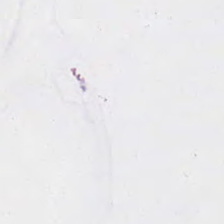This field is background (no tissue).
